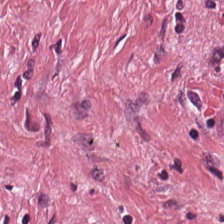0.5 µm per pixel · hematoxylin and eosin — Q: What is shown here?
A: It is desmoplastic stroma.
